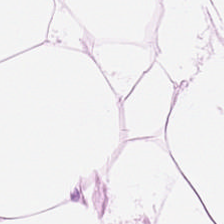0.5 µm per pixel · hematoxylin and eosin · FFPE tissue section — The predominant tissue is adipocytes.
